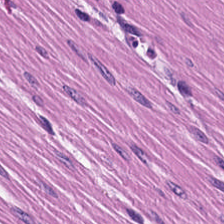0.5 µm/px; whole-slide-image patch; H&E-stained tissue section. Showing smooth-muscle tissue.
